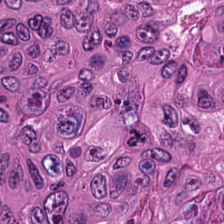Q: Identify the tissue.
A: The field shows colorectal adenocarcinoma.
